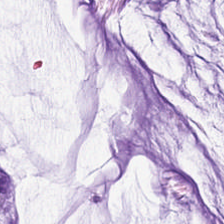0.5 microns per pixel · H&E-stained tissue section — Histology — mucin.
